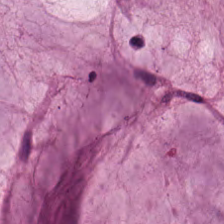H&E-stained tissue section.
Q: What is shown here?
A: This is mucus.
